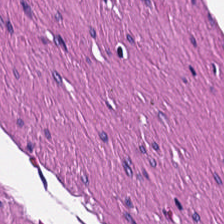H&E — Showing smooth-muscle tissue.
